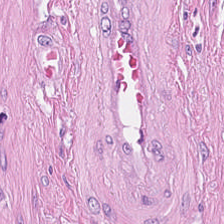H&E stain.
Showing desmoplastic stroma.
